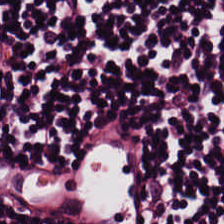H&E stain.
The tissue is lymphocytic infiltrate.
